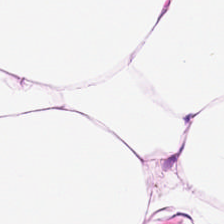Tissue class — adipocytes.
